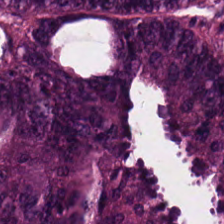The tissue is adenocarcinoma.
